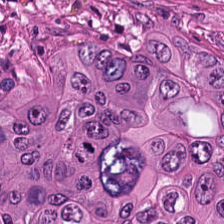H&E-stained tissue section showing colorectal adenocarcinoma.
